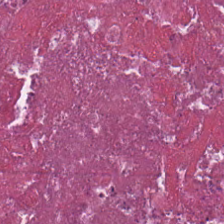Q: Identify the tissue.
A: This is cellular debris.
